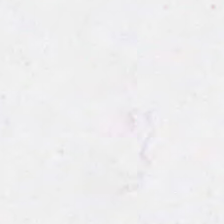0.5 microns per pixel · H&E-stained tissue section · 224×224 pixel tile. No tissue.
